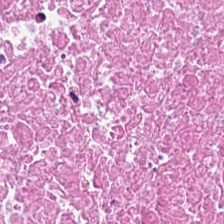Impression — cellular debris.
